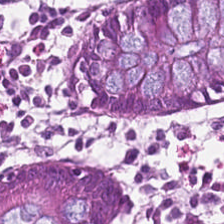Hematoxylin and eosin. Tissue = benign colonic mucosa.
